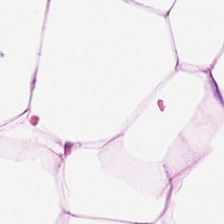Stain: hematoxylin and eosin.
Tile size: 224×224 px patch.
Preparation: FFPE tissue section.
Tissue: fat tissue.
